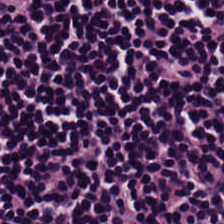224×224 pixel tile. H&E stain. The classification is lymphoid infiltrate.
